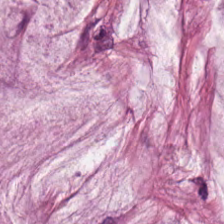Hematoxylin-and-eosin stained section.
Predominantly extracellular mucin.
